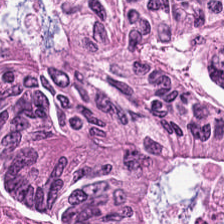Hematoxylin-and-eosin stained section.
Finding — adenocarcinoma.
